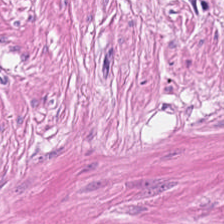H&E stain. This patch shows muscularis.
